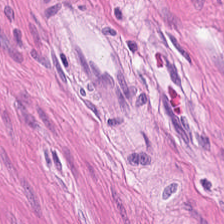This patch shows smooth muscle.
